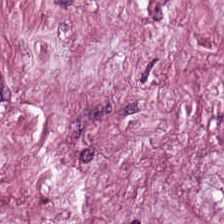H&E-stained tissue section. 224×224 px tile — This field is cancer-associated stroma.
